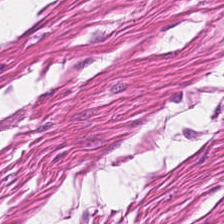H&E-stained tissue section.
Tissue type — muscularis.
